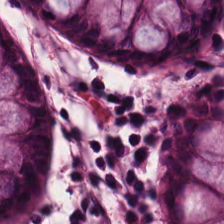Stain: H&E.
Classification: benign colonic mucosa.
